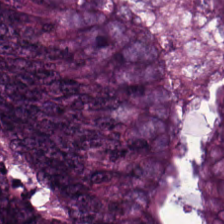Stain: H&E.
Predominant tissue: colorectal adenocarcinoma epithelium.
